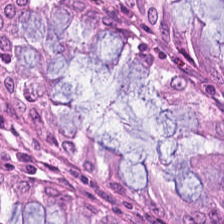Hematoxylin and eosin. 0.5 µm/px.
The predominant tissue is benign colonic mucosa.
